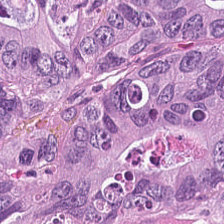H&E stain · 224×224 px patch — Tissue type: adenocarcinoma.
